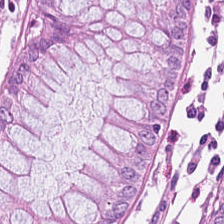H&E — This field is normal colonic mucosa.
